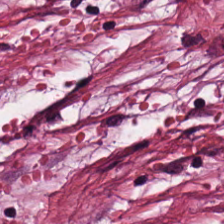Predominant tissue = cancer-associated stroma.
